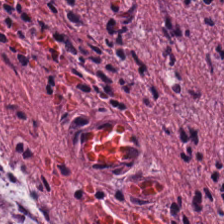Hematoxylin-and-eosin stained section. Showing tumor-associated stroma.
